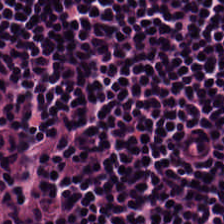Hematoxylin and eosin.
Tissue class — lymphoid infiltrate.
